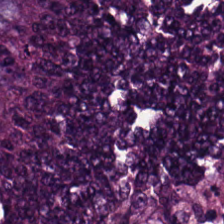H&E — The predominant tissue is colorectal adenocarcinoma.
